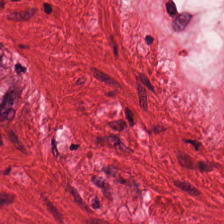20× equivalent magnification · WSI patch · H&E stain. Predominantly smooth muscle.
